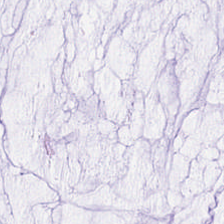0.5 µm per pixel. H&E. This patch shows extracellular mucin.
